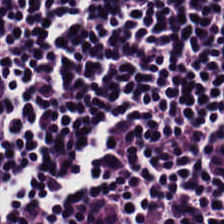H&E-stained tissue section.
Showing lymphoid infiltrate.
